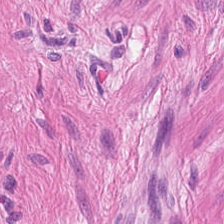H&E; 20× equivalent magnification.
Showing smooth muscle.
